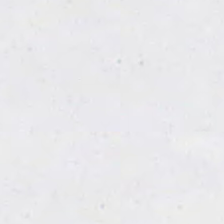H&E stain. Q: What is shown here?
A: Background.
